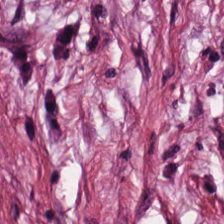Hematoxylin and eosin. This patch shows tumor stroma.
